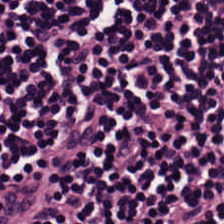H&E-stained tissue section. Predominant tissue: lymphocytes.
